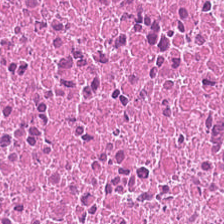Stain: hematoxylin and eosin.
Resolution: 0.5 µm/px.
Classification: necrotic debris.
